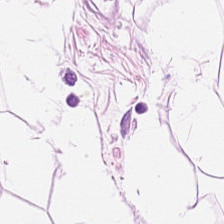H&E — Q: What tissue type is shown here?
A: It is adipose tissue.
